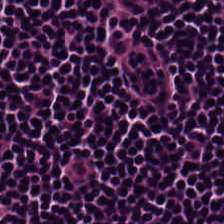Stain: H&E.
Preparation: FFPE tissue section.
Acquisition: WSI patch.
Classification: lymphocytes.
